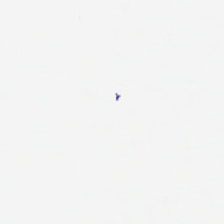H&E stain. Brightfield. 0.5 microns per pixel. {"content": "no tissue"}
